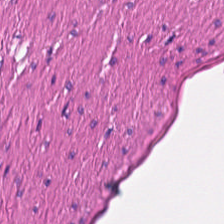Hematoxylin-and-eosin stained section. The tissue here is muscularis.
